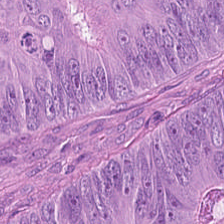Hematoxylin-and-eosin stained section; 224×224 px tile; 20× equivalent magnification. Tissue class — adenocarcinoma.
